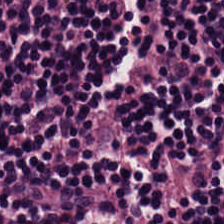H&E stain; 20× equivalent magnification; 224×224 px tile.
Finding → lymphoid infiltrate.
